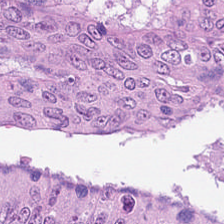Stain: H&E.
Tissue: colorectal adenocarcinoma.
